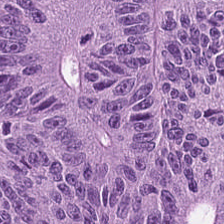Brightfield. H&E. This field is colorectal adenocarcinoma epithelium.
